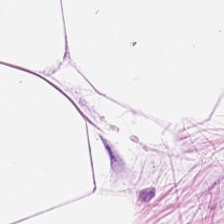Q: Identify the tissue.
A: It is adipose tissue.
